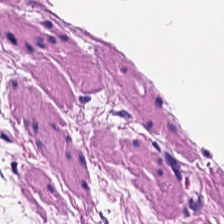H&E-stained tissue section.
The tissue here is muscularis.
